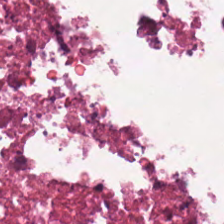224×224 px patch. Hematoxylin-and-eosin stained section.
The tissue here is debris.
